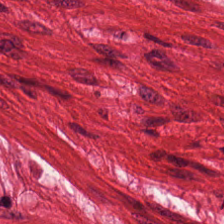The predominant tissue is smooth muscle.
